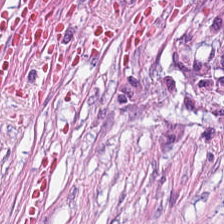H&E-stained tissue section — Q: What is the predominant tissue type?
A: It is cancer-associated stroma.
